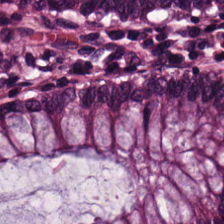Stain: hematoxylin-and-eosin stained section.
Predominant tissue: non-neoplastic colon mucosa.
